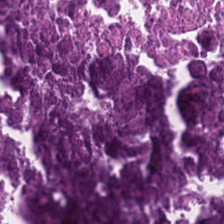Stain: H&E stain.
Predominant tissue: debris.
